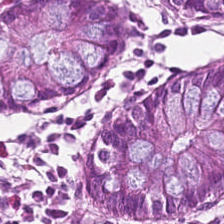Hematoxylin and eosin. WSI patch. Formalin-fixed paraffin-embedded section — Predominant tissue: non-neoplastic colon mucosa.
